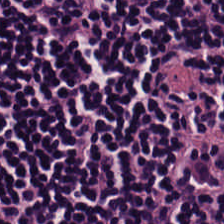H&E stain. This field is lymphoid infiltrate.
